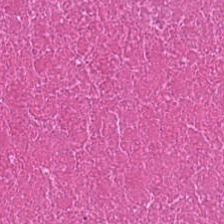H&E stain — Q: What is shown here?
A: It is necrotic debris.
